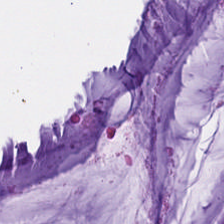H&E-stained tissue section; 0.5 µm/px; FFPE. Tissue type = extracellular mucin.
